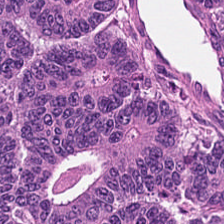224×224 px patch; 0.5 microns per pixel; H&E — The tissue here is malignant epithelium.
